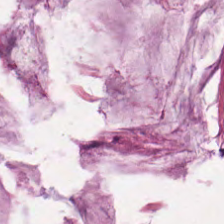H&E-stained section; the field shows mucin.
